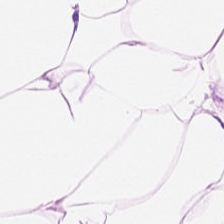Formalin-fixed paraffin-embedded section · H&E · 20× equivalent magnification — Tissue class: adipose tissue.
